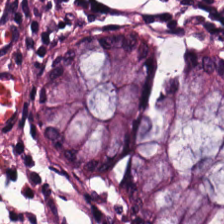FFPE tissue section · H&E-stained tissue section. This field is normal colonic mucosa.
